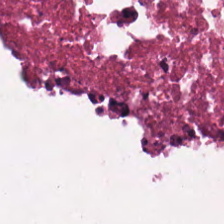Predominantly debris.
